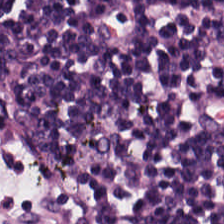Hematoxylin and eosin — This patch shows lymphocyte aggregate.
